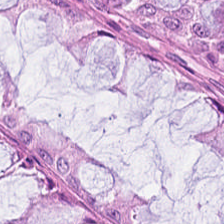This field is normal colon mucosa.
